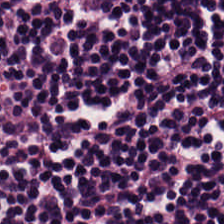Stain: H&E-stained tissue section.
Predominant tissue: lymphocytic infiltrate.
